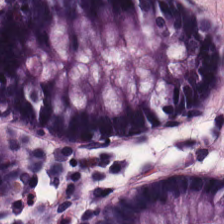H&E. Predominantly non-neoplastic colon mucosa.
